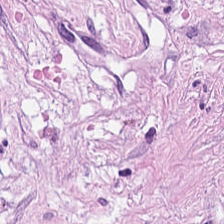Desmoplastic stroma.
